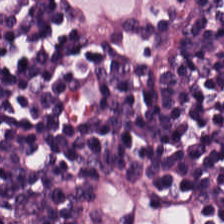Stain: H&E-stained tissue section.
Preparation: FFPE tissue section.
Tissue type: lymphocytes.
